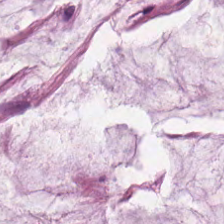WSI patch. H&E-stained tissue section. Formalin-fixed paraffin-embedded section. Impression — mucin.
